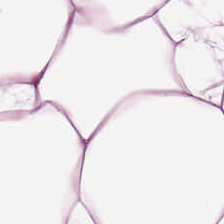Stain: H&E stain.
Tissue type: fat tissue.
